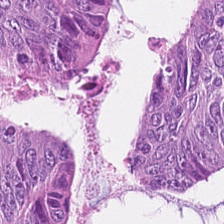H&E · 20× equivalent magnification. The tissue here is adenocarcinoma.
